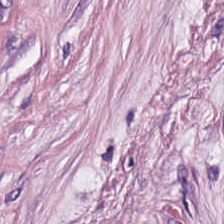Hematoxylin and eosin. 224×224 px patch. Brightfield microscopy. Q: Classify this patch.
A: Desmoplastic stroma.
